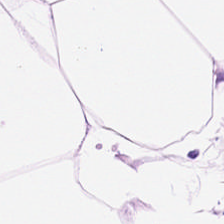Histology → adipose tissue.
